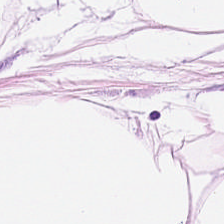Stain: hematoxylin-and-eosin stained section.
Tissue type: adipose tissue.
